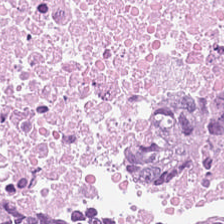Hematoxylin-and-eosin stained section. Tissue: necrotic debris.
